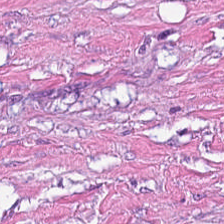The predominant tissue is cancer-associated stroma.
